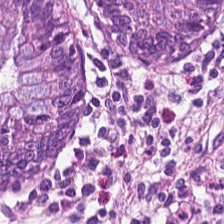This field is benign colonic mucosa.
